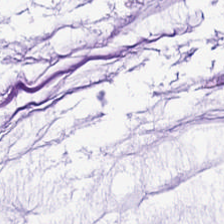H&E · WSI patch — Q: What tissue type is shown here?
A: The field shows mucin.
